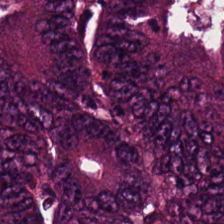Stain: hematoxylin and eosin.
Tissue class: tumor epithelium.
